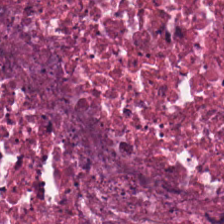0.5 µm per pixel · H&E stain · formalin-fixed paraffin-embedded section. Predominantly cellular debris.
